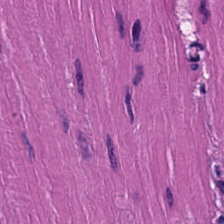Stain: hematoxylin-and-eosin stained section.
Classification: muscularis.
